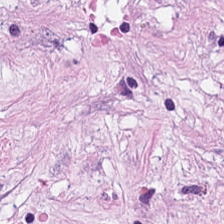224×224 pixel tile. Brightfield. H&E — Showing desmoplastic stroma.
